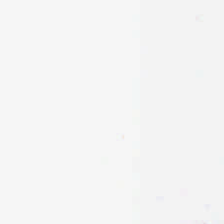This patch shows background.
